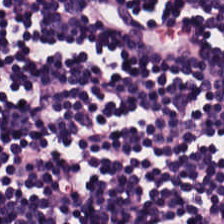H&E stain. 0.5 microns per pixel.
Lymphocyte aggregate.
